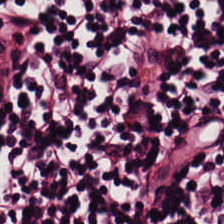Q: What is shown in this field?
A: It is lymphocyte aggregate.
